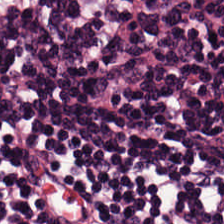Stain: H&E-stained tissue section.
Tissue class: lymphocytic infiltrate.
